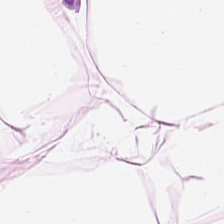This patch shows fat tissue.
